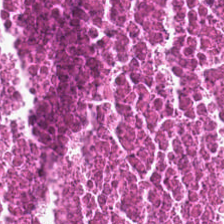Stain: hematoxylin-and-eosin stained section.
Classification: debris.
